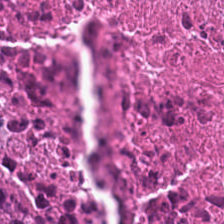H&E.
Tissue type — necrotic debris.
